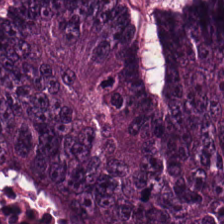224×224 pixel tile · hematoxylin-and-eosin stained section · 0.5 microns per pixel. This field is colorectal adenocarcinoma epithelium.
